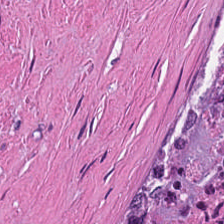Impression → necrotic debris.
